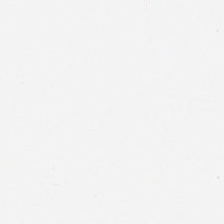Background (no tissue).
